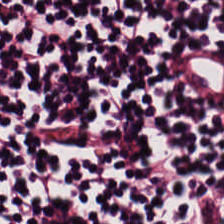H&E stain.
Tissue type = lymphocyte aggregate.
